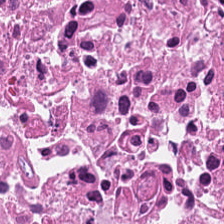H&E-stained tissue section. The tissue here is debris.
